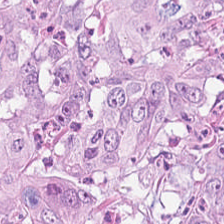224×224 px patch; FFPE tissue section; H&E-stained tissue section — The tissue here is colorectal adenocarcinoma.
